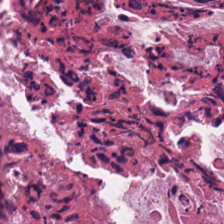Classification — cellular debris.
